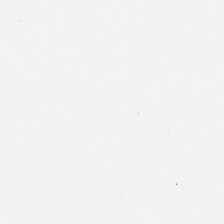224×224 px tile · H&E — Field content — empty background.
